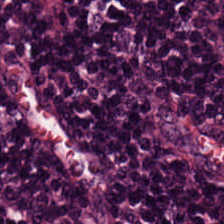H&E-stained tissue section — Lymphocytic infiltrate.
